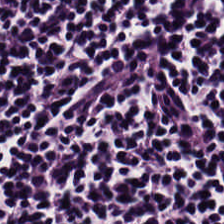The tissue is lymphocytic infiltrate.
